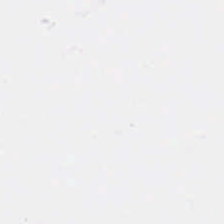Hematoxylin and eosin.
The content is no tissue.
